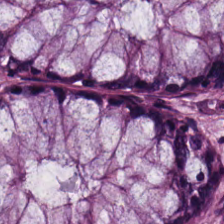Q: What is shown here?
A: The field shows normal colonic mucosa.
